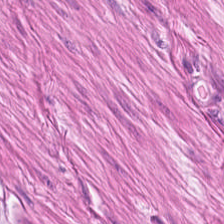Formalin-fixed paraffin-embedded section; hematoxylin-and-eosin stained section; 224×224 pixel tile. Impression — smooth muscle.
